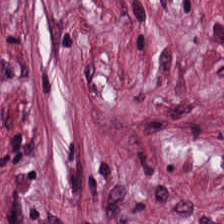H&E stain. Tissue class: desmoplastic stroma.
